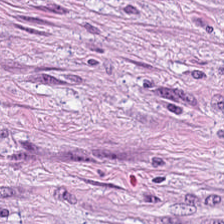Brightfield. H&E-stained tissue section. Showing cancer-associated stroma.
